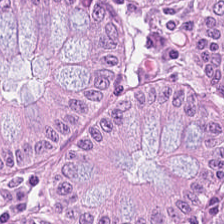H&E; brightfield microscopy.
Normal colonic mucosa.
